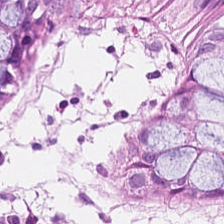Hematoxylin-and-eosin section: normal colon mucosa.
